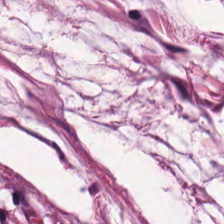Hematoxylin-and-eosin stained section. {"tissue_type": "mucus"}
